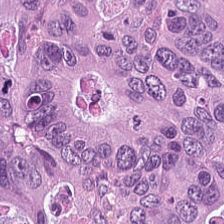H&E-stained tissue section; 0.5 microns per pixel — Q: Identify the tissue.
A: This is colorectal adenocarcinoma.
